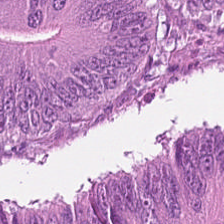H&E.
Predominant tissue — adenocarcinoma.
